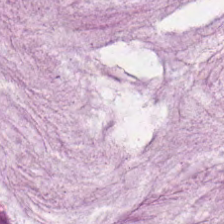Stain: hematoxylin and eosin.
Predominant tissue: extracellular mucin.
